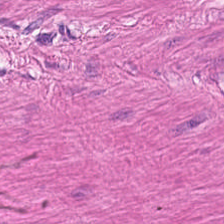Hematoxylin and eosin · 0.5 microns per pixel · WSI patch.
{"tissue_type": "smooth-muscle tissue"}
